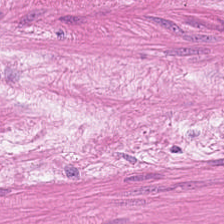Stain: H&E.
Preparation: FFPE tissue section.
Predominant tissue: smooth muscle.
